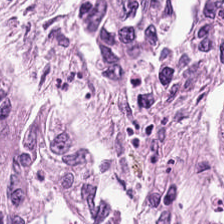H&E.
Colorectal adenocarcinoma epithelium.
